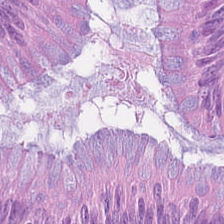H&E-stained tissue section — Q: Classify this patch.
A: This is adenocarcinoma.
